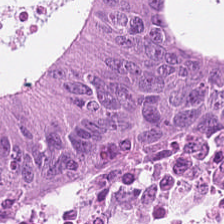H&E-stained tissue section.
The tissue is colorectal adenocarcinoma.
